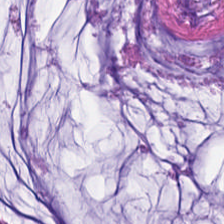Hematoxylin and eosin; FFPE tissue section. This patch shows mucus.
